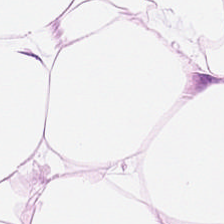H&E.
Finding — adipose tissue.
